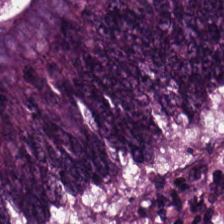Predominantly tumor epithelium.
